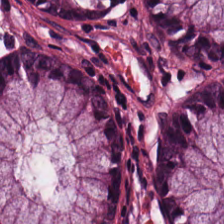The predominant tissue is normal colon mucosa.
